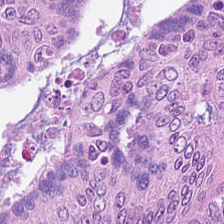Predominant tissue: adenocarcinoma.
